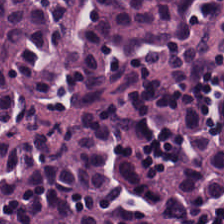Hematoxylin and eosin. Q: What tissue is shown?
A: Lymphocytic infiltrate.
